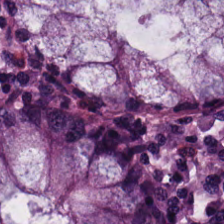FFPE tissue section. Hematoxylin and eosin. 224×224 pixel tile. Q: Classify this patch.
A: Benign colonic mucosa.
